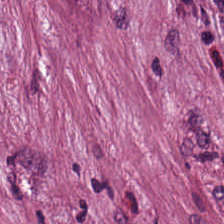The tissue here is cancer-associated stroma.
